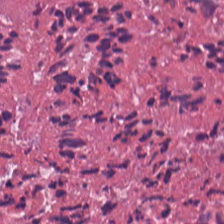224×224 pixel tile. H&E.
Q: What is shown here?
A: This is debris.
